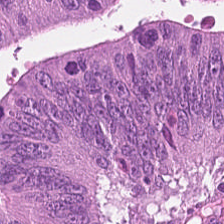Hematoxylin-and-eosin stained section. Showing colorectal adenocarcinoma.
